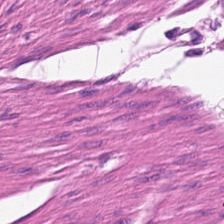0.5 µm/px. H&E stain. The predominant tissue is muscularis.
